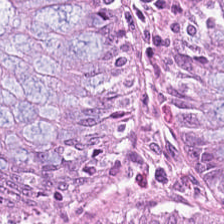Whole-slide-image patch. Hematoxylin-and-eosin stained section. Histology — normal colon mucosa.
